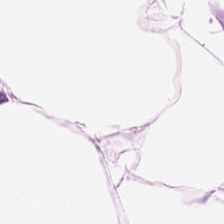Hematoxylin-and-eosin section: adipose tissue.
